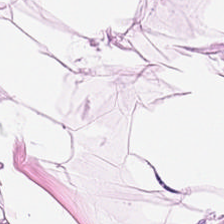H&E — fat tissue.
